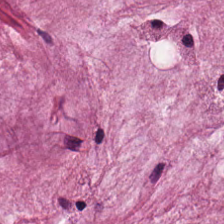H&E-stained tissue section; FFPE tissue section; 0.5 microns per pixel.
This patch shows mucin.
